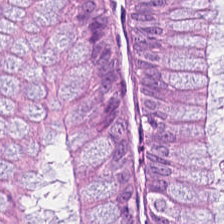H&E — The predominant tissue is normal colon mucosa.
